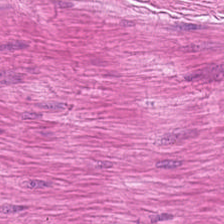Hematoxylin and eosin.
Q: What is shown in this field?
A: This is smooth muscle.
